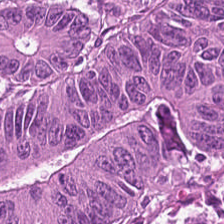FFPE; H&E stain — Tissue — colorectal adenocarcinoma.
